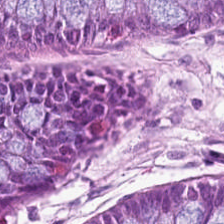H&E-stained tissue section. FFPE tissue section.
Tissue class — normal colonic mucosa.
